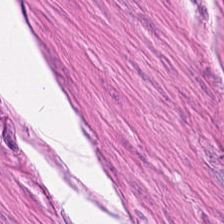H&E-stained tissue section — The tissue here is smooth muscle.
